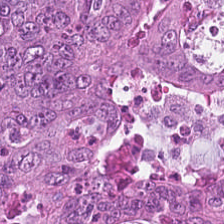224×224 px patch. H&E stain. FFPE. This patch shows malignant epithelium.
